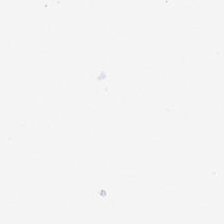H&E stain — Background — no tissue in this field.
